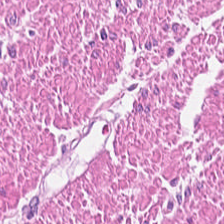H&E. The predominant tissue is smooth muscle.
